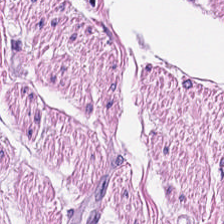Brightfield microscopy · H&E stain · 0.5 µm/px.
This patch shows smooth-muscle tissue.
